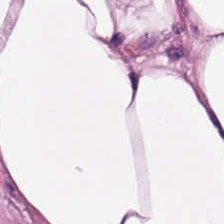Hematoxylin-and-eosin stained section · FFPE — Tissue type: fat tissue.
